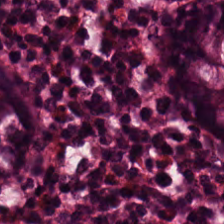H&E stain — The predominant tissue is normal colon mucosa.
